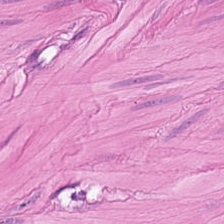Hematoxylin and eosin; 224×224 px patch. The tissue is muscularis.
